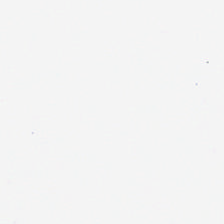H&E-stained tissue section — Empty field — no tissue.
